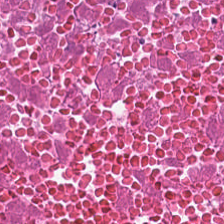Classification — necrotic debris.
